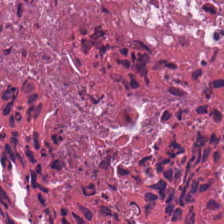Stain: hematoxylin-and-eosin stained section.
Tissue: necrotic debris.
